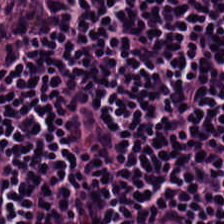Q: What is the predominant tissue type?
A: The field shows lymphocytic infiltrate.
